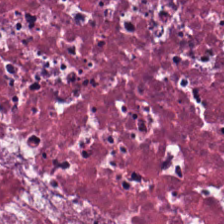H&E.
The tissue type is debris.
